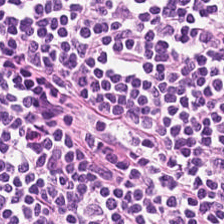Predominant tissue — lymphoid infiltrate.
